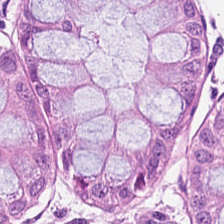FFPE. 0.5 microns per pixel. H&E — Showing normal colonic mucosa.
